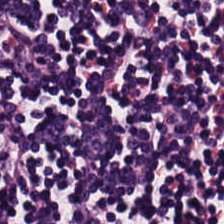FFPE tissue section. H&E stain. 0.5 µm/px. Histology → lymphocytic infiltrate.
